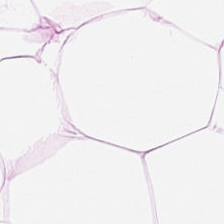H&E stain.
Tissue type — adipocytes.
